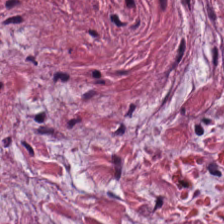Classification = tumor-associated stroma.
